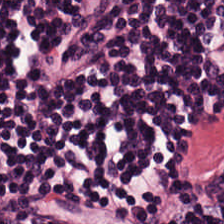Stain: H&E.
Predominant tissue: lymphoid infiltrate.
